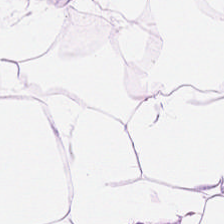H&E stain. 0.5 µm/px.
Q: What is shown here?
A: The field shows adipose tissue.
